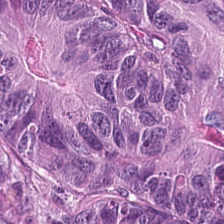H&E-stained tissue section. The tissue here is malignant epithelium.
